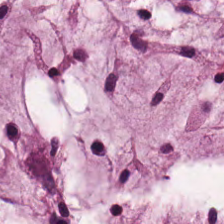H&E-stained tissue section. 0.5 µm per pixel.
Finding → mucus.
